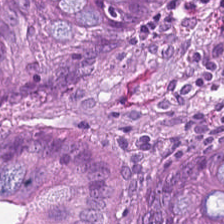H&E stain.
Classification — non-neoplastic colon mucosa.
